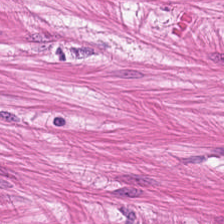224×224 px patch · H&E-stained tissue section · 0.5 µm per pixel.
Predominant tissue = muscularis.
